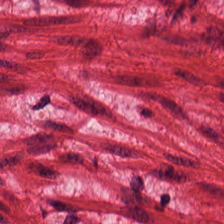Stain: H&E stain.
Tissue class: muscularis.
